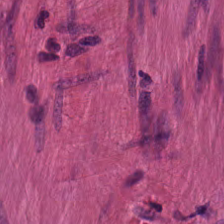Stain: hematoxylin and eosin.
Tissue type: smooth-muscle tissue.
